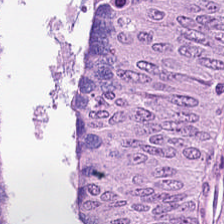Brightfield microscopy. Hematoxylin-and-eosin stained section — The predominant tissue is colorectal adenocarcinoma.
